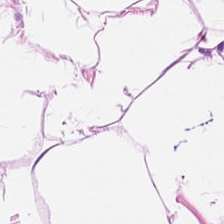H&E stain. The predominant tissue is adipose.
